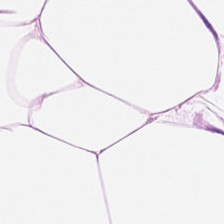Brightfield. Hematoxylin and eosin. 224×224 px tile — Showing fat tissue.
